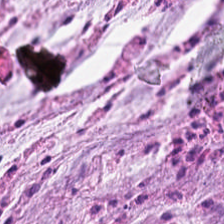0.5 µm/px · hematoxylin and eosin.
Predominantly mucus.
